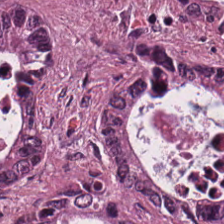FFPE tissue section · 0.5 µm per pixel · hematoxylin-and-eosin stained section.
Predominantly adenocarcinoma.
